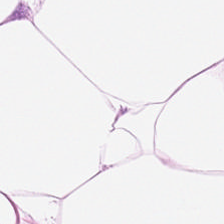H&E · brightfield microscopy. Finding — adipose.
